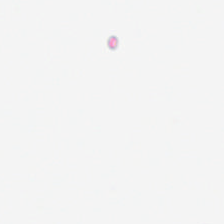H&E — Content: no tissue.
